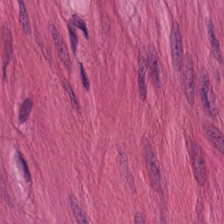Tissue type — smooth-muscle tissue.
